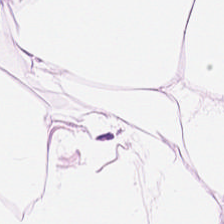Formalin-fixed paraffin-embedded section; H&E. Predominantly adipocytes.
